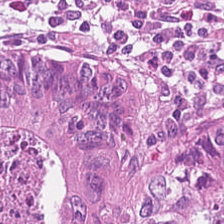H&E-stained tissue section.
Adenocarcinoma.
